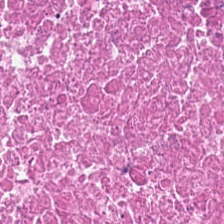The tissue class is debris.
